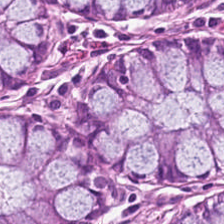H&E stain.
Predominant tissue — benign colonic mucosa.
